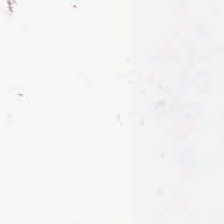Hematoxylin and eosin.
Q: Classify this patch.
A: This is background.
